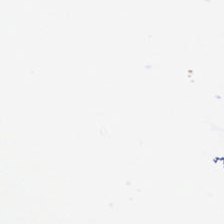H&E — Finding — no tissue.
